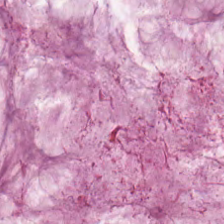Hematoxylin-and-eosin stained section. Predominant tissue = mucin.
